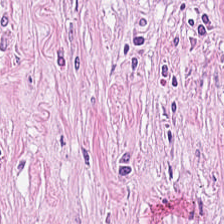Hematoxylin and eosin.
Desmoplastic stroma.
